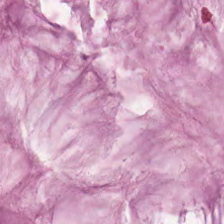Hematoxylin-and-eosin stained section — Showing mucin.
